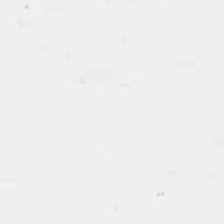Hematoxylin and eosin — Field content — empty background.
